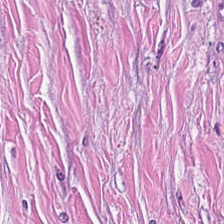Formalin-fixed paraffin-embedded section · H&E.
Predominant tissue — cancer-associated stroma.
